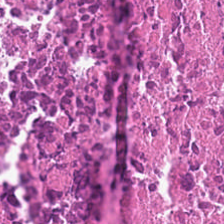Hematoxylin-and-eosin stained section. Debris.
